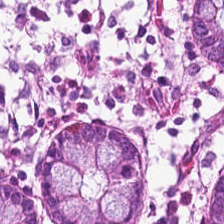Stain: hematoxylin and eosin.
Tissue: benign colonic mucosa.
